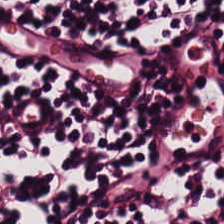H&E. 224×224 px tile. Brightfield. Tissue = lymphocytic infiltrate.
